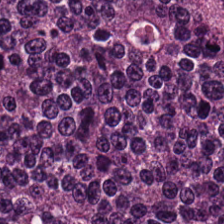Histology — adenocarcinoma.
